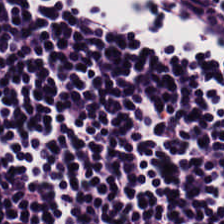Hematoxylin-and-eosin stained section.
The tissue here is lymphoid infiltrate.
